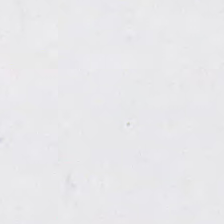Background — no tissue in this field.
